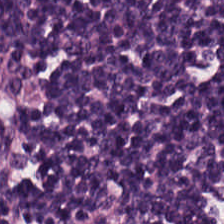Predominantly lymphocytic infiltrate.
